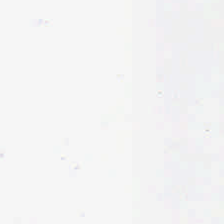Background (no tissue).
